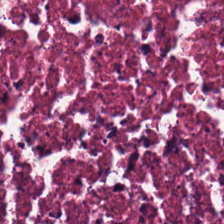H&E-stained tissue section; formalin-fixed paraffin-embedded section; whole-slide-image patch — This field is debris.
